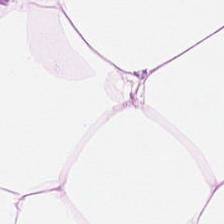Formalin-fixed paraffin-embedded section. Hematoxylin-and-eosin stained section. This field is adipose tissue.
